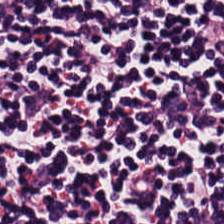Tissue type = lymphocyte aggregate.
